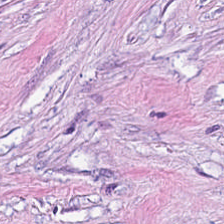The tissue type is desmoplastic stroma.
